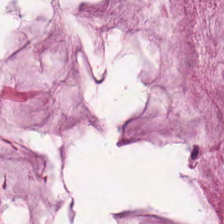Hematoxylin and eosin · FFPE tissue section.
Predominantly mucus.
